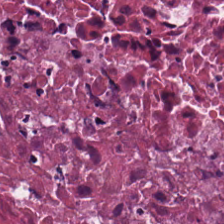Stain: H&E-stained tissue section.
Predominant tissue: necrotic debris.
